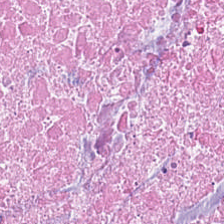Hematoxylin and eosin.
Predominantly cellular debris.
